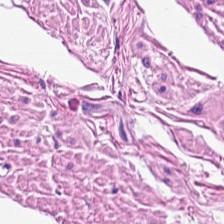H&E-stained tissue section.
Histology — smooth muscle.
